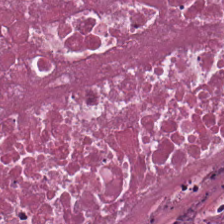H&E-stained tissue section. WSI patch.
Tissue type = debris.
